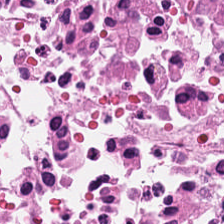WSI patch; H&E-stained tissue section — This field is debris.
